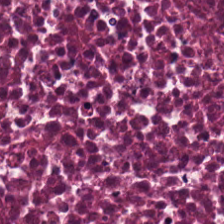H&E-stained tissue section; FFPE — Predominant tissue = necrotic debris.
